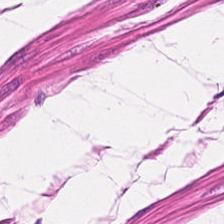Stain: H&E.
Tissue type: smooth-muscle tissue.
